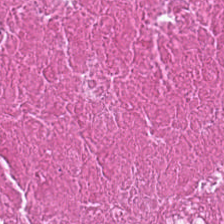Hematoxylin and eosin · 224×224 px patch. Classification: cellular debris.
